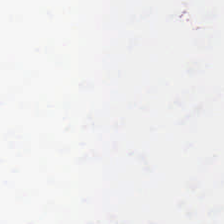Stain: hematoxylin and eosin.
Field content: background.
